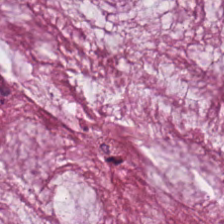Q: What does this patch show?
A: It is extracellular mucin.
